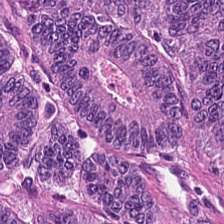H&E — colorectal adenocarcinoma.
